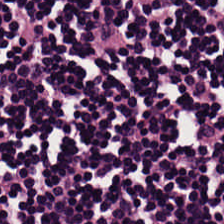20× equivalent magnification. Hematoxylin and eosin — Tissue = lymphocyte aggregate.
